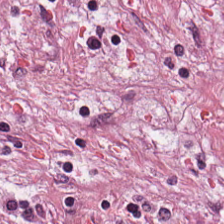This patch shows tumor stroma.
